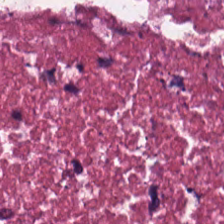Hematoxylin and eosin.
Necrotic debris.
